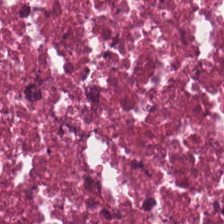20× equivalent magnification. Hematoxylin and eosin — The tissue here is necrotic debris.
